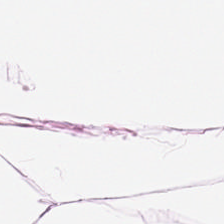Brightfield · H&E · formalin-fixed paraffin-embedded section.
The tissue is adipocytes.
